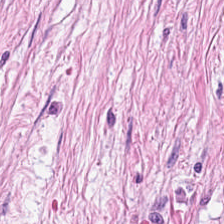Stain: hematoxylin and eosin.
Tile size: 224×224 px patch.
Predominant tissue: tumor stroma.
